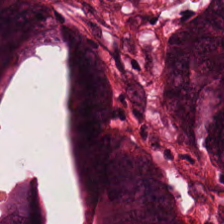0.5 µm per pixel · H&E. Histology — tumor epithelium.
